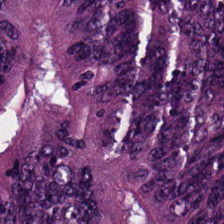Q: What tissue type is shown here?
A: The field shows tumor epithelium.
